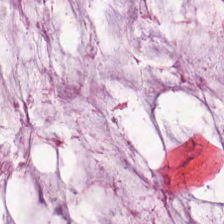Hematoxylin and eosin. Predominant tissue: mucus.
